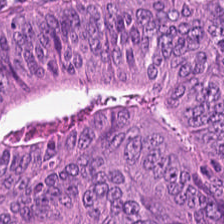{"tissue_type": "colorectal adenocarcinoma"}
